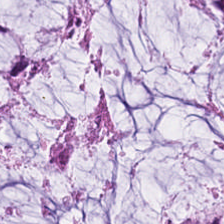H&E-stained tissue section showing extracellular mucin.
